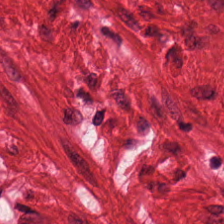Q: What is the predominant tissue type?
A: Smooth muscle.
